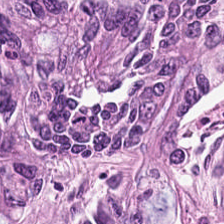H&E; 0.5 µm per pixel — The tissue class is colorectal adenocarcinoma epithelium.
